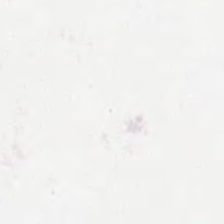Hematoxylin and eosin. Background — no tissue in this field.
